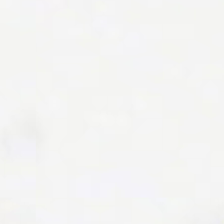Hematoxylin and eosin.
Impression — background.
